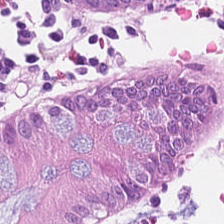H&E stain.
Finding — benign colonic mucosa.
